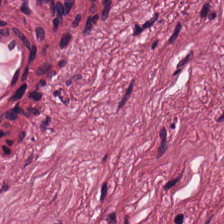Stain: hematoxylin and eosin.
Tissue: desmoplastic stroma.
